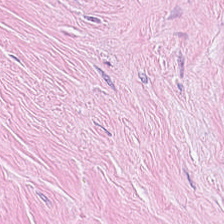Stain: H&E-stained tissue section.
Tissue type: tumor stroma.
